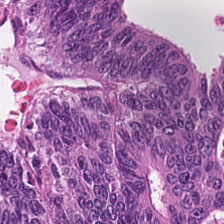H&E — Tissue class — adenocarcinoma.
